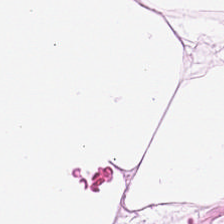H&E-stained tissue section. This field is fat tissue.
